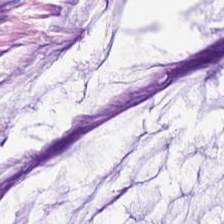FFPE. H&E stain. 0.5 µm/px. This field is mucus.
